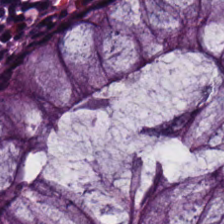0.5 microns per pixel; FFPE tissue section; hematoxylin-and-eosin stained section.
Predominant tissue — normal colonic mucosa.
